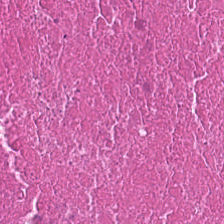Hematoxylin and eosin; 0.5 microns per pixel.
{"tissue_type": "cellular debris"}
